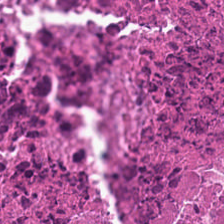Stain: hematoxylin-and-eosin stained section.
Tissue type: debris.
